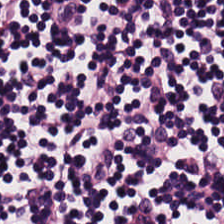H&E — The predominant tissue is lymphoid infiltrate.
